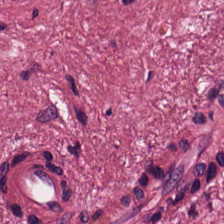H&E stain. 224×224 pixel tile. Tumor stroma.
